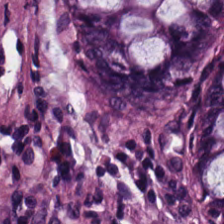Stain: H&E stain.
Preparation: formalin-fixed paraffin-embedded section.
Acquisition: brightfield.
Tissue type: non-neoplastic colon mucosa.
